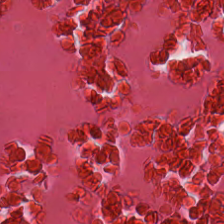Stain: H&E stain.
Tissue class: necrotic debris.
